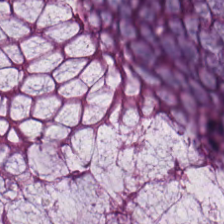Hematoxylin and eosin · 224×224 px patch.
Tissue class: normal colonic mucosa.
